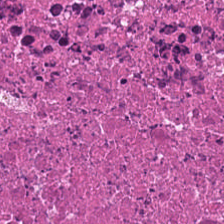H&E-stained tissue section — Predominant tissue — debris.
